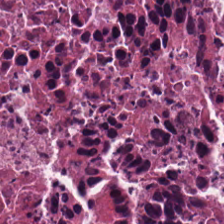Hematoxylin and eosin — Predominant tissue — cellular debris.
